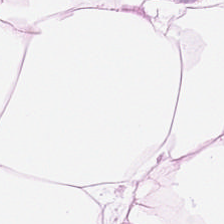H&E — fat tissue.
